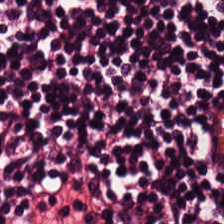H&E — lymphoid infiltrate.
